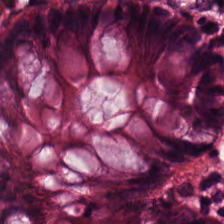Q: What tissue type is shown here?
A: The field shows normal colonic mucosa.
